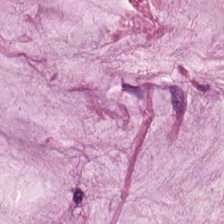Hematoxylin and eosin.
The tissue here is extracellular mucin.
